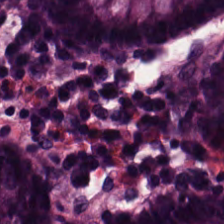H&E. The predominant tissue is non-neoplastic colon mucosa.
